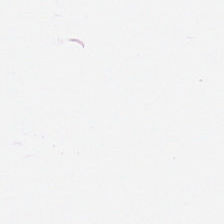H&E.
{"tissue_type": "adipocytes"}
